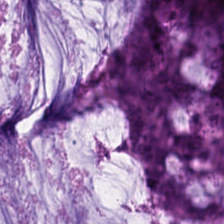H&E-stained tissue section showing mucus.
